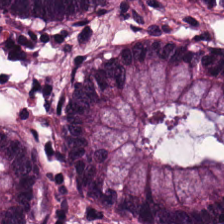{"tissue_type": "benign colonic mucosa"}
